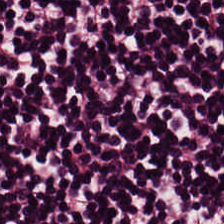Hematoxylin-and-eosin stained section.
Finding → lymphoid infiltrate.
